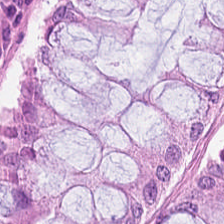Hematoxylin-and-eosin stained section — Showing normal colon mucosa.
